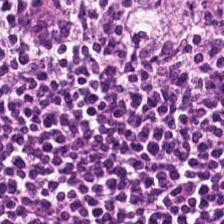Formalin-fixed paraffin-embedded section · WSI patch · H&E-stained tissue section.
Predominantly lymphocytes.
